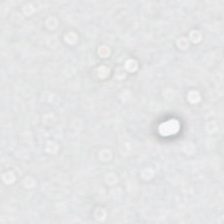Hematoxylin and eosin. 20× equivalent magnification. 224×224 pixel tile. Q: What does this patch show?
A: The field shows empty background.
